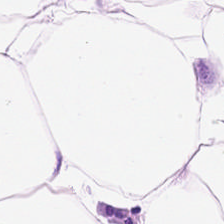Formalin-fixed paraffin-embedded section; 224×224 px patch; hematoxylin-and-eosin stained section. The predominant tissue is adipose tissue.
